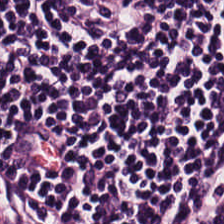H&E-stained tissue section — Histology → lymphoid infiltrate.
